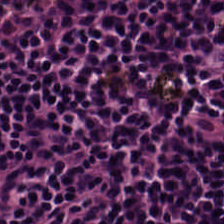H&E; brightfield microscopy — Lymphocyte aggregate.
